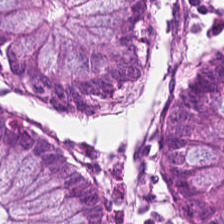Hematoxylin-and-eosin stained section. Q: What is shown here?
A: It is normal colonic mucosa.
